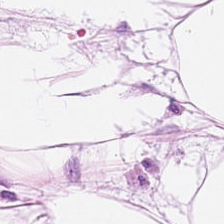H&E patch showing adipose tissue.
